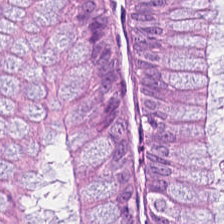Formalin-fixed paraffin-embedded section · H&E — Tissue = non-neoplastic colon mucosa.
